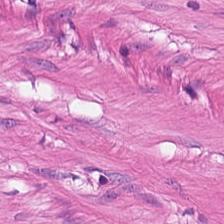This field is smooth-muscle tissue.
